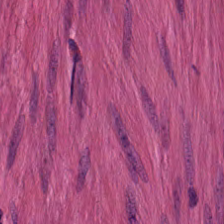H&E-stained tissue section.
The tissue class is smooth muscle.
